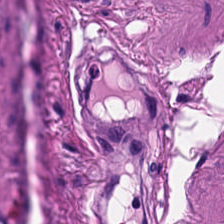224×224 pixel tile · hematoxylin and eosin · brightfield. Classification = smooth-muscle tissue.
